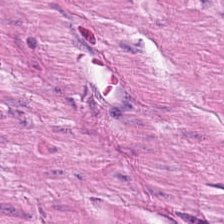H&E. Showing smooth muscle.
